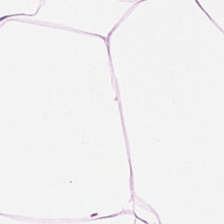Histology — adipose.
